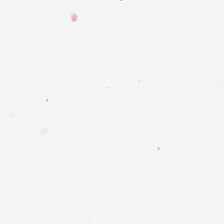FFPE tissue section. H&E stain — Background — no tissue in this field.
